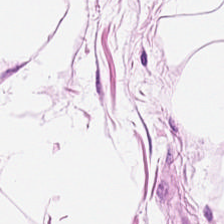Stain: H&E-stained tissue section.
Preparation: formalin-fixed paraffin-embedded section.
Predominant tissue: adipocytes.
